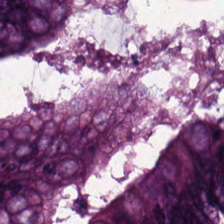H&E — Q: Classify this patch.
A: This is adenocarcinoma.
